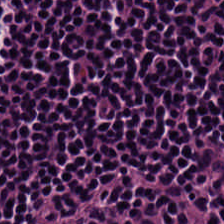Tissue class — lymphocyte aggregate.
